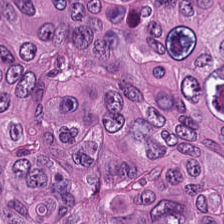Tissue type = colorectal adenocarcinoma epithelium.
